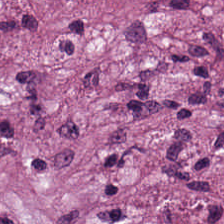{"tissue_type": "desmoplastic stroma"}
